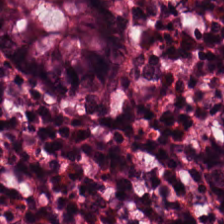H&E-stained tissue section.
Q: What does this patch show?
A: It is benign colonic mucosa.
